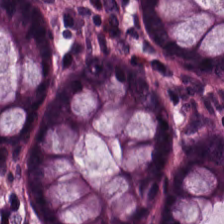Finding → normal colonic mucosa.
